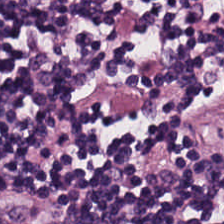H&E stain. Showing lymphocyte aggregate.
